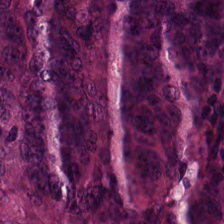H&E-stained section; the field shows tumor epithelium.
